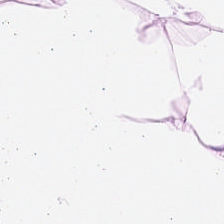Hematoxylin-and-eosin stained section — Histology → adipocytes.
